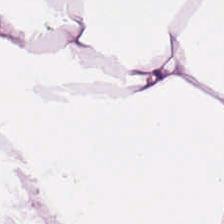Tissue class: adipose tissue.
